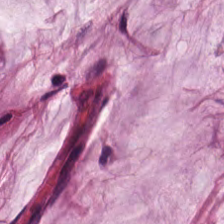Hematoxylin-and-eosin stained section — Q: Identify the tissue.
A: It is mucus.
